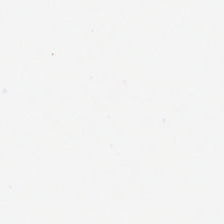Hematoxylin-and-eosin stained section · 224×224 pixel tile.
Impression → background.
